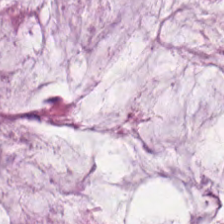Whole-slide-image patch; H&E — The predominant tissue is mucus.
